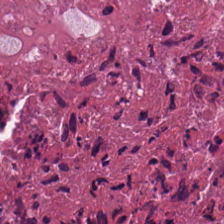Predominant tissue: cellular debris.
